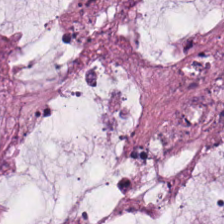H&E-stained tissue section — Q: What does this patch show?
A: The field shows mucin.
